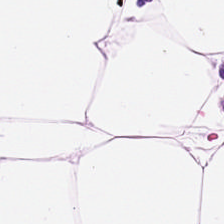Formalin-fixed paraffin-embedded section. Hematoxylin and eosin. Brightfield — Showing adipose tissue.
